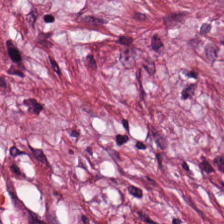Hematoxylin and eosin; FFPE; brightfield microscopy.
Impression → desmoplastic stroma.
